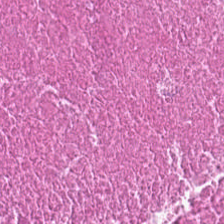Hematoxylin and eosin. Q: What tissue is shown?
A: This is necrotic debris.
